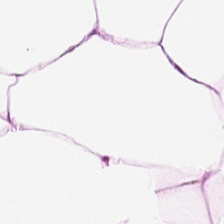Stain: H&E-stained tissue section.
Tissue class: adipocytes.
